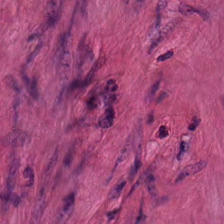Brightfield microscopy · 0.5 µm/px · H&E stain.
Tissue class — muscularis.
